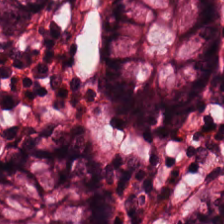H&E. Tissue class: non-neoplastic colon mucosa.
